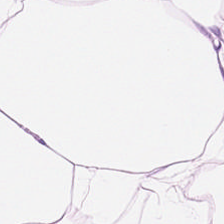Stain: H&E-stained tissue section.
Preparation: FFPE.
Predominant tissue: adipose tissue.
